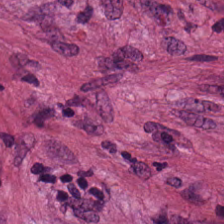The predominant tissue is tumor-associated stroma.
